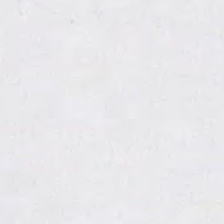224×224 pixel tile; H&E.
Finding → empty background.
